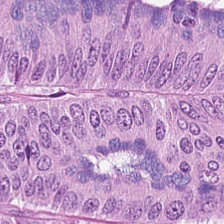H&E — Predominant tissue — colorectal adenocarcinoma.
